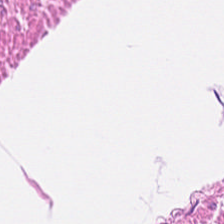Q: What tissue is shown?
A: Muscularis.
